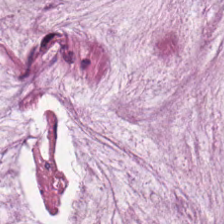H&E stain.
This field is mucin.
